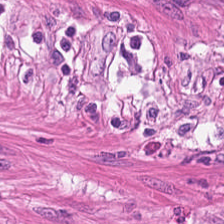H&E.
Tissue type = muscularis.
